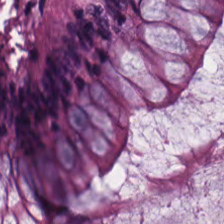Stain: H&E stain.
Classification: benign colonic mucosa.
